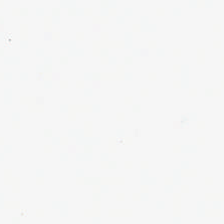H&E-stained tissue section · FFPE tissue section. Content: background (no tissue).
